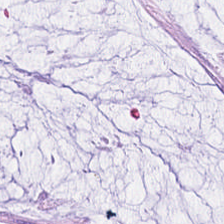Hematoxylin-and-eosin stained section — {"tissue_type": "mucin"}
